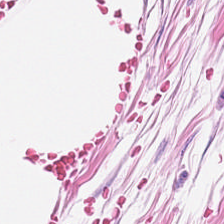Hematoxylin and eosin — This field is fat tissue.
